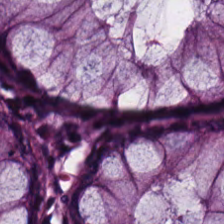Finding → normal colonic mucosa.
